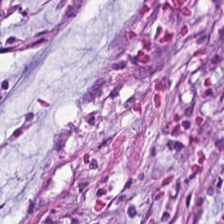Formalin-fixed paraffin-embedded section. Hematoxylin and eosin. This patch shows tumor stroma.
